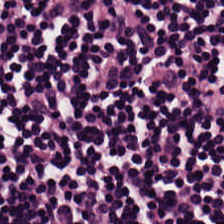Hematoxylin-and-eosin stained section.
The classification is lymphocyte aggregate.
